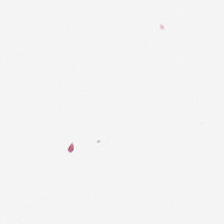Hematoxylin and eosin.
No tissue present; background only.
